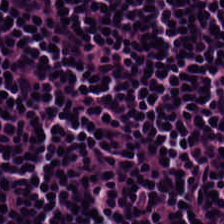H&E stain — The tissue here is lymphoid infiltrate.
